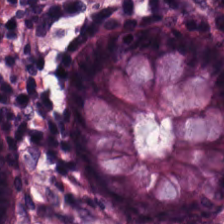Histology — normal colonic mucosa.
